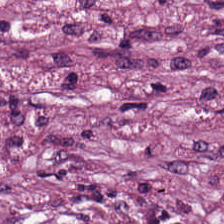H&E stain · 0.5 microns per pixel — This patch shows tumor stroma.
